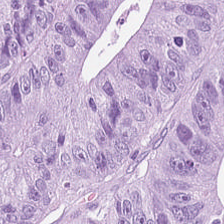Hematoxylin and eosin; whole-slide-image patch. Q: What does this patch show?
A: It is tumor epithelium.
